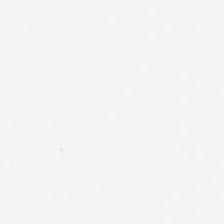Stain: H&E stain.
Classification: background.
